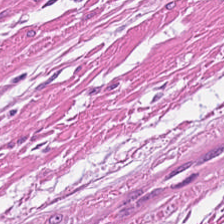{"tissue_type": "smooth muscle"}
